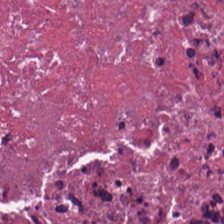Hematoxylin-and-eosin stained section. Predominant tissue = debris.
